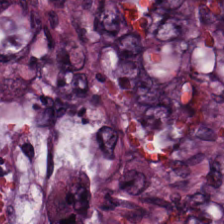Hematoxylin and eosin; 224×224 px tile.
Classification: colorectal adenocarcinoma.
